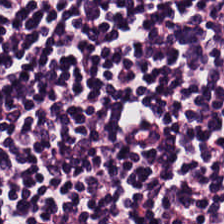Hematoxylin and eosin; whole-slide-image patch; formalin-fixed paraffin-embedded section — Showing lymphocytic infiltrate.
